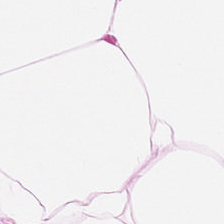This field is adipose tissue.
